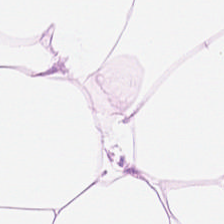{"tissue_type": "adipose tissue"}
